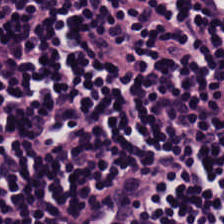Predominantly lymphoid infiltrate.
